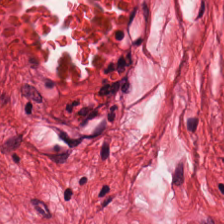FFPE. H&E-stained tissue section — Smooth-muscle tissue.
